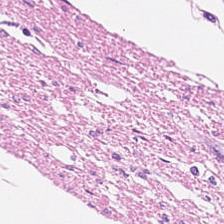Hematoxylin and eosin. The predominant tissue is smooth muscle.
